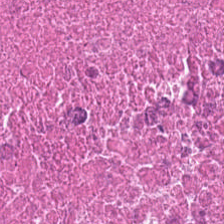Hematoxylin and eosin.
The tissue class is debris.
